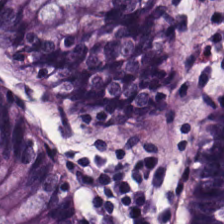224×224 px patch; H&E — Showing normal colon mucosa.
